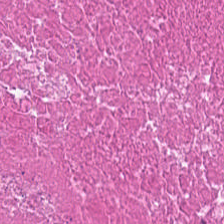Stain: H&E-stained tissue section.
Predominant tissue: debris.
